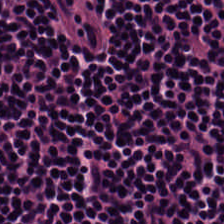Hematoxylin-and-eosin stained section.
Tissue type: lymphocytic infiltrate.
